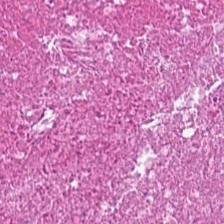Stain: H&E.
Preparation: FFPE tissue section.
Classification: debris.
